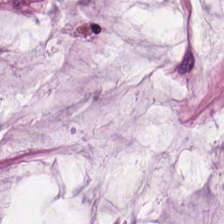Hematoxylin-and-eosin stained section — Predominantly extracellular mucin.
